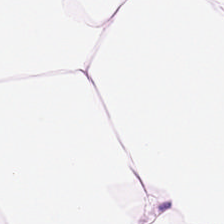H&E stain. Q: What tissue is shown?
A: This is adipocytes.
